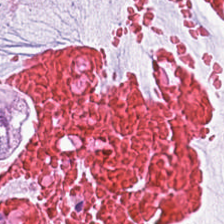224×224 px patch · hematoxylin-and-eosin stained section. The predominant tissue is mucus.
